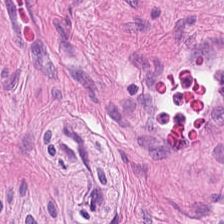Hematoxylin-and-eosin stained section.
Muscularis.
